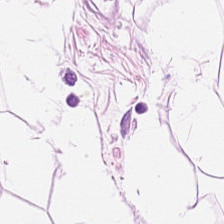FFPE; H&E-stained tissue section. This field is adipose.
